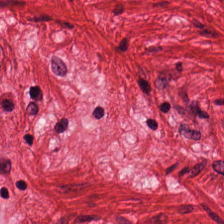H&E-stained tissue section · brightfield.
Q: Identify the tissue.
A: The field shows muscularis.
